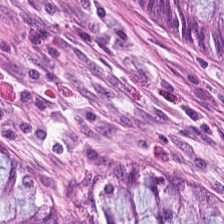H&E. WSI patch. Showing non-neoplastic colon mucosa.
